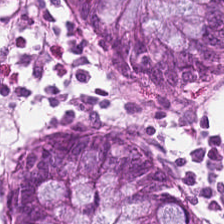Stain: H&E-stained tissue section.
Classification: normal colonic mucosa.
